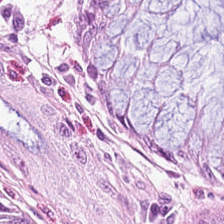H&E-stained tissue section. The classification is non-neoplastic colon mucosa.
